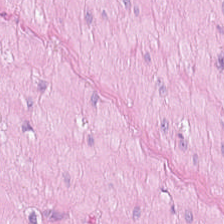H&E — The predominant tissue is smooth-muscle tissue.
